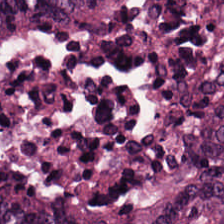224×224 pixel tile. H&E — This patch shows colorectal adenocarcinoma epithelium.
